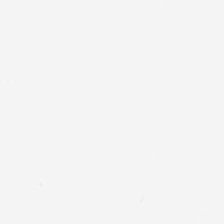Background — no tissue in this field.
